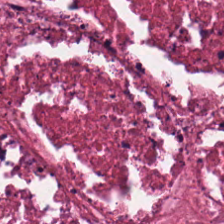Tissue = necrotic debris.
